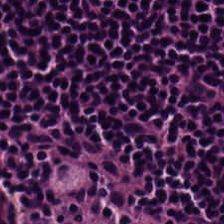224×224 pixel tile; H&E.
Predominant tissue = lymphocytic infiltrate.
